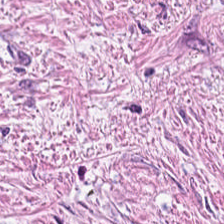20× equivalent magnification; H&E.
This field is tumor stroma.
